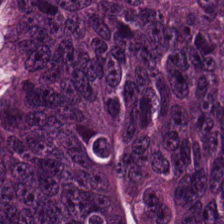Hematoxylin and eosin; whole-slide-image patch — The predominant tissue is malignant epithelium.
